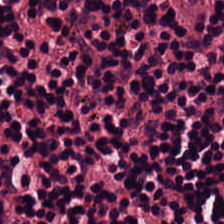H&E stain — Tissue class: lymphocytes.
